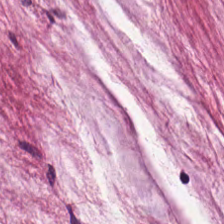Hematoxylin-and-eosin stained section. Q: What is shown in this field?
A: Mucin.
